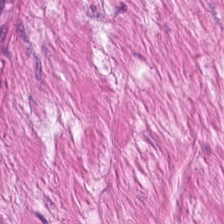Stain: H&E stain.
Tile size: 224×224 px tile.
Resolution: 0.5 µm per pixel.
Classification: muscularis.
